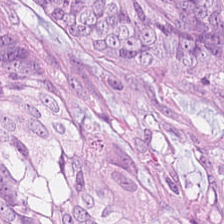H&E stain.
The tissue type is colorectal adenocarcinoma.
